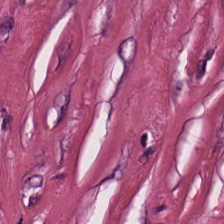H&E. This patch shows desmoplastic stroma.
